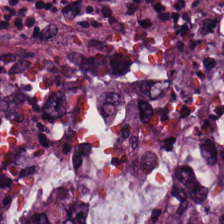Hematoxylin and eosin — Q: What type of tissue is this?
A: The field shows colorectal adenocarcinoma epithelium.
